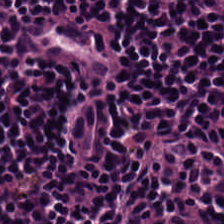0.5 µm/px; H&E stain; whole-slide-image patch. Tissue — lymphocytes.
